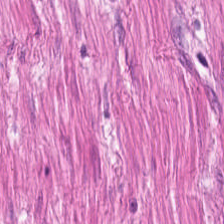224×224 px patch. WSI patch. H&E — The tissue here is muscularis.
